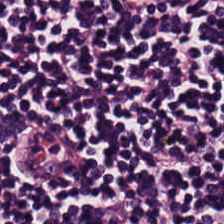Impression → lymphoid infiltrate.
